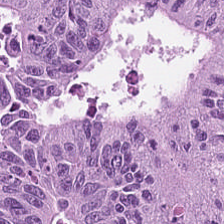224×224 px tile · H&E-stained tissue section. The tissue here is colorectal adenocarcinoma.
